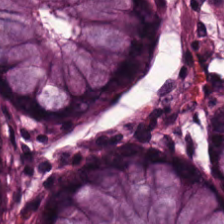H&E · 224×224 px patch — {"tissue_type": "normal colonic mucosa"}
